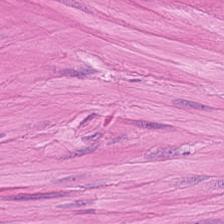Histology — smooth muscle.
